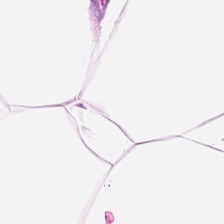This patch shows fat tissue.
